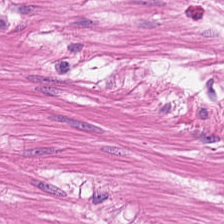Stain: H&E.
Classification: smooth-muscle tissue.
